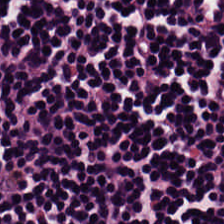H&E stain · 0.5 microns per pixel.
Lymphocytic infiltrate.
